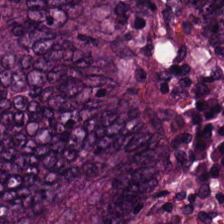Hematoxylin-and-eosin stained section · 224×224 px tile · FFPE tissue section.
Impression — tumor epithelium.
